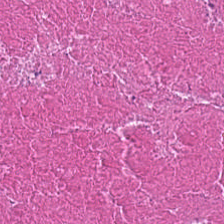This patch shows cellular debris.
